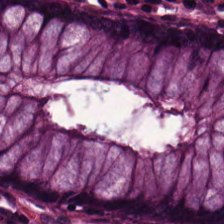Classification = normal colon mucosa.
